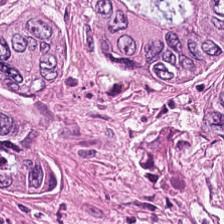H&E-stained tissue section. {"tissue_type": "colorectal adenocarcinoma epithelium"}
